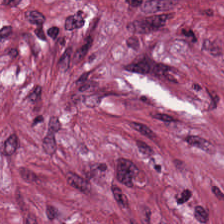H&E. Q: What tissue type is shown here?
A: Cancer-associated stroma.
